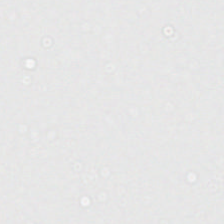Hematoxylin-and-eosin stained section — Finding → no tissue.
